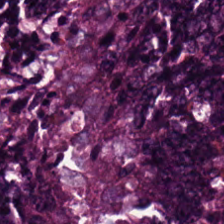FFPE tissue section. H&E-stained tissue section. Tissue type — colorectal adenocarcinoma epithelium.
